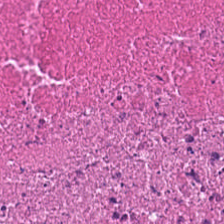Tissue — necrotic debris.
